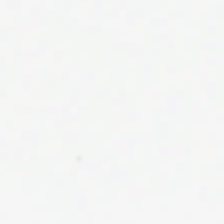20× equivalent magnification · H&E-stained tissue section — Histology → background.
